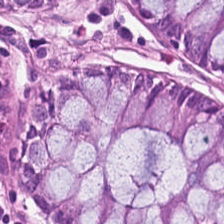Hematoxylin-and-eosin stained section · 224×224 pixel tile. The tissue here is benign colonic mucosa.
